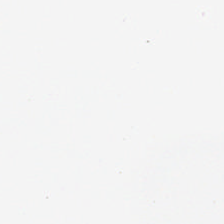Finding → empty background.
